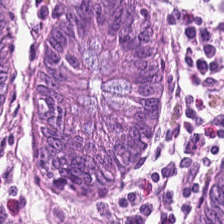H&E · FFPE. Q: What tissue is shown?
A: This is normal colon mucosa.
